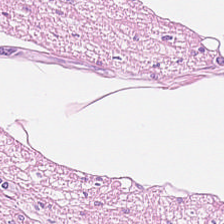Q: What does this patch show?
A: It is muscularis.
